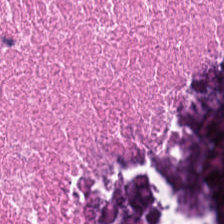H&E-stained tissue section — Showing necrotic debris.
